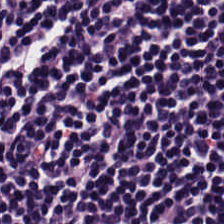Stain: hematoxylin and eosin.
Tile size: 224×224 px patch.
Tissue type: lymphocytes.
